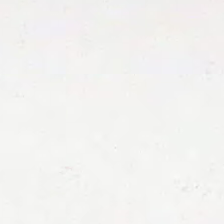H&E. This patch shows background.
